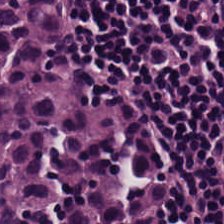H&E. Formalin-fixed paraffin-embedded section — The tissue is lymphocytes.
